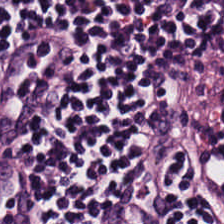Classification = lymphoid infiltrate.
